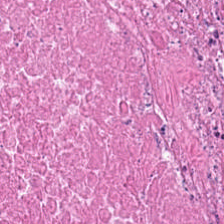H&E — Tissue class = cellular debris.
